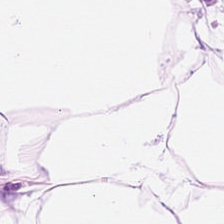Tissue class: adipose tissue.
